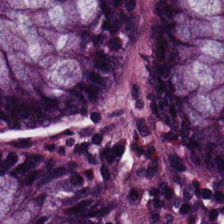20× equivalent magnification; hematoxylin-and-eosin stained section. Tissue class: benign colonic mucosa.
